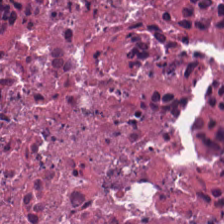Brightfield microscopy · hematoxylin and eosin — Tissue class — cellular debris.
